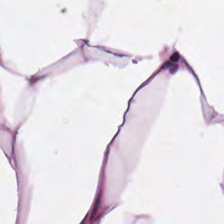224×224 px patch; hematoxylin-and-eosin stained section.
This field is adipose.
